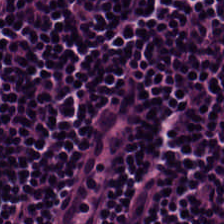Q: What tissue is shown?
A: It is lymphoid infiltrate.
